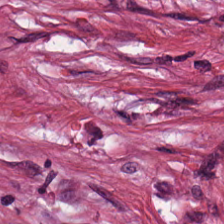0.5 µm/px. Hematoxylin-and-eosin stained section.
The tissue type is desmoplastic stroma.
